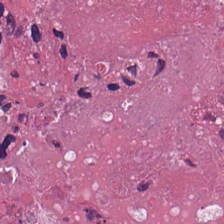H&E stain — The tissue is cellular debris.
